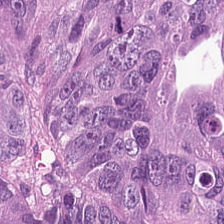0.5 µm per pixel · 224×224 pixel tile · hematoxylin-and-eosin stained section.
This field is tumor epithelium.
